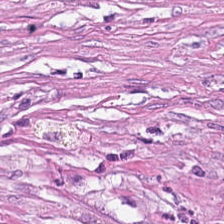Stain: hematoxylin-and-eosin stained section.
Tissue type: tumor-associated stroma.
